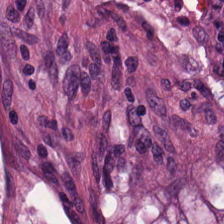H&E-stained tissue section.
Predominantly tumor-associated stroma.
